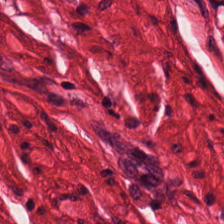Stain: hematoxylin and eosin.
Tissue: smooth-muscle tissue.
